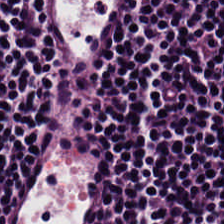The tissue type is lymphocyte aggregate.
